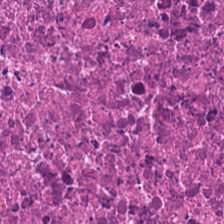H&E stain · brightfield · 0.5 µm per pixel. This patch shows debris.
